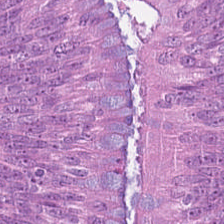H&E; 0.5 microns per pixel. Q: Identify the tissue.
A: It is tumor epithelium.
